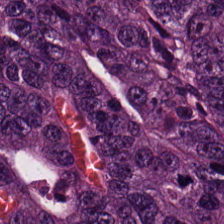Hematoxylin and eosin. FFPE.
This patch shows colorectal adenocarcinoma epithelium.
